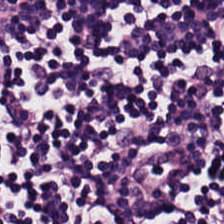H&E stain.
Finding → lymphocytic infiltrate.
